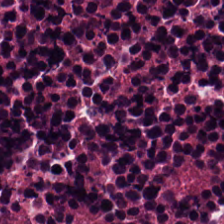Stain: hematoxylin-and-eosin stained section.
Predominant tissue: debris.
